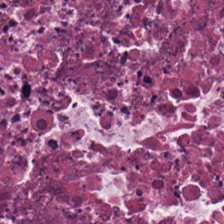H&E. Cellular debris.
